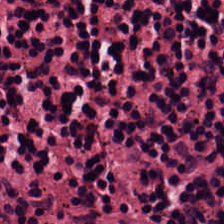Hematoxylin and eosin; brightfield microscopy — Lymphocyte aggregate.
